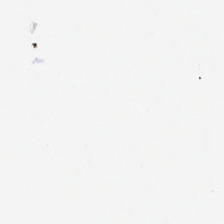Field content = background.
